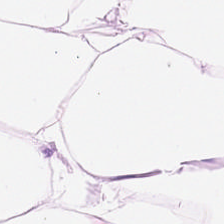H&E. 0.5 µm/px. Adipose tissue.
